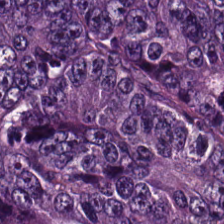Stain: hematoxylin-and-eosin stained section.
Tissue class: colorectal adenocarcinoma epithelium.
